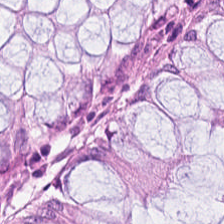224×224 px patch; H&E — Q: Identify the tissue.
A: Benign colonic mucosa.
